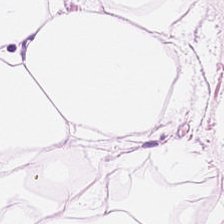Stain: H&E stain.
Classification: adipose tissue.
